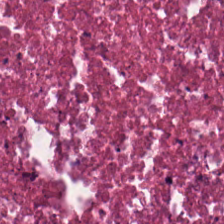224×224 px patch; hematoxylin-and-eosin stained section — Tissue = cellular debris.
